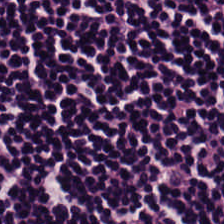The predominant tissue is lymphocytic infiltrate.
